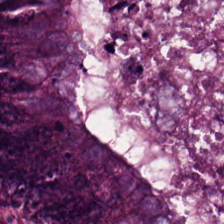H&E-stained tissue section.
Showing colorectal adenocarcinoma.
